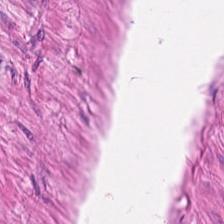H&E.
The tissue type is muscularis.
